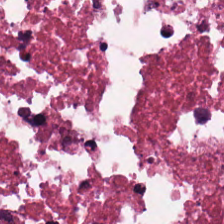H&E — This field is debris.
